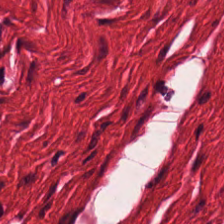20× equivalent magnification · formalin-fixed paraffin-embedded section · H&E.
Predominantly muscularis.
